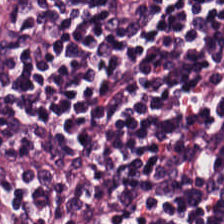Hematoxylin and eosin. Tissue — lymphocytic infiltrate.
